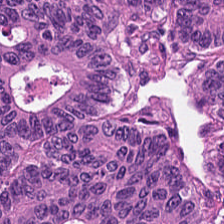H&E stain. The tissue is tumor epithelium.
